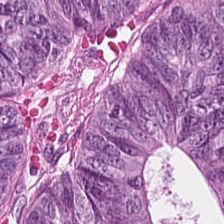H&E; 224×224 pixel tile.
Q: Identify the tissue.
A: This is adenocarcinoma.
